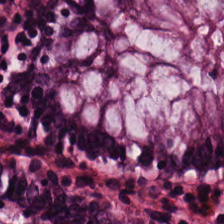Hematoxylin-and-eosin stained section. 0.5 µm per pixel. Benign colonic mucosa.
